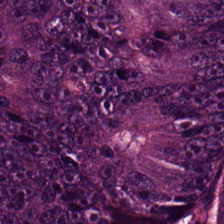H&E stain — Q: What is the predominant tissue type?
A: The field shows colorectal adenocarcinoma.
